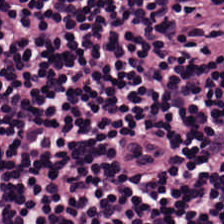FFPE tissue section · brightfield microscopy · hematoxylin-and-eosin stained section — The predominant tissue is lymphocytes.
